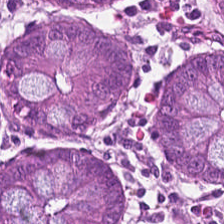Hematoxylin-and-eosin stained section.
Classification = normal colonic mucosa.
